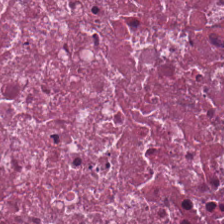The tissue here is cellular debris.
